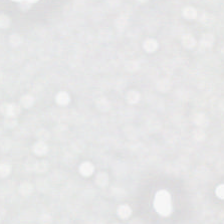H&E-stained tissue section — Empty field — background.
